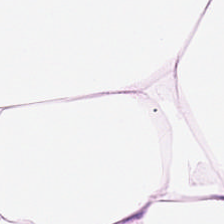Stain: hematoxylin and eosin.
Classification: adipose tissue.
